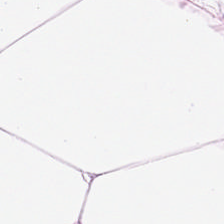Predominantly adipose tissue.
